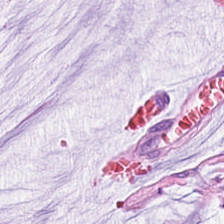FFPE · hematoxylin and eosin.
Classification — extracellular mucin.
